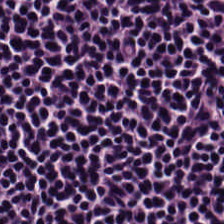Brightfield microscopy. FFPE tissue section. Hematoxylin and eosin.
Predominant tissue = lymphocytes.
